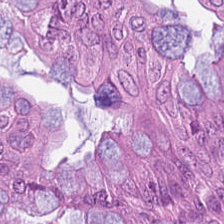H&E stain — Histology — malignant epithelium.
